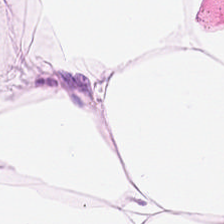WSI patch. H&E-stained tissue section. FFPE. This field is fat tissue.
